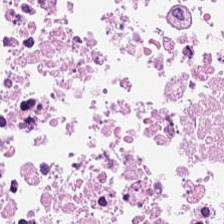Stain: hematoxylin-and-eosin stained section.
Tissue: necrotic debris.
